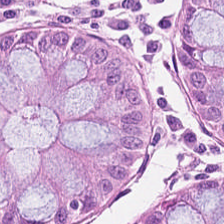Stain: H&E stain.
Preparation: formalin-fixed paraffin-embedded section.
Predominant tissue: normal colonic mucosa.
